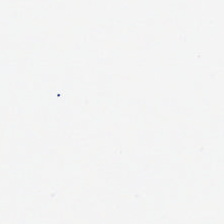20× equivalent magnification. Brightfield. Hematoxylin and eosin — Q: Classify this patch.
A: The field shows background.
